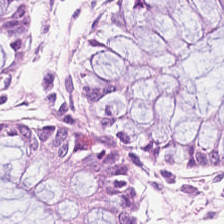Finding → normal colon mucosa.
